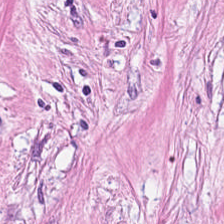H&E stain. 224×224 px tile. The tissue here is desmoplastic stroma.
